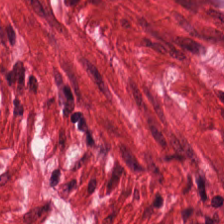Hematoxylin and eosin.
Tissue class: smooth-muscle tissue.
